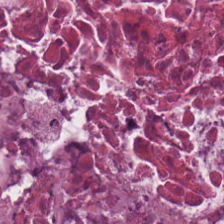Q: What tissue type is shown here?
A: The field shows cellular debris.
